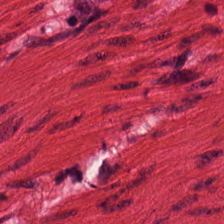Formalin-fixed paraffin-embedded section · H&E stain · 224×224 px tile. Predominantly smooth-muscle tissue.
